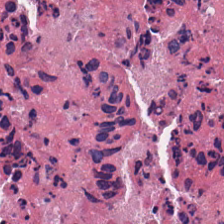Stain: hematoxylin-and-eosin stained section.
Resolution: 0.5 microns per pixel.
Classification: necrotic debris.
